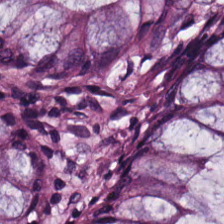FFPE tissue section · hematoxylin and eosin. Q: What is shown here?
A: Non-neoplastic colon mucosa.
